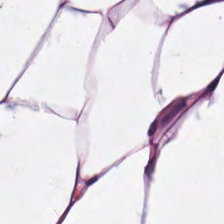Stain: hematoxylin-and-eosin stained section.
Tissue class: fat tissue.
